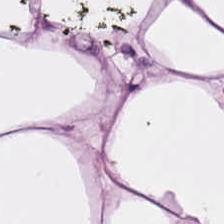0.5 µm per pixel; hematoxylin and eosin; FFPE tissue section.
The tissue here is adipocytes.
